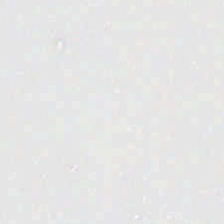H&E — The content is empty background.
